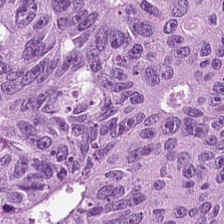20× equivalent magnification; H&E stain.
Q: What is shown in this field?
A: Malignant epithelium.
